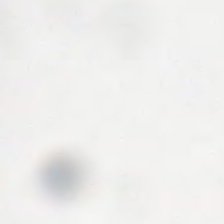Stain: H&E-stained tissue section.
Content: empty background.
